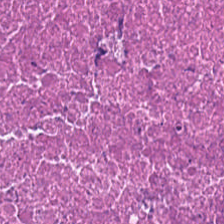Hematoxylin and eosin. The tissue here is necrotic debris.
